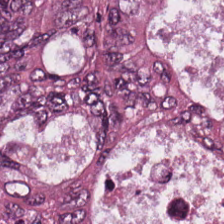H&E stain. FFPE.
This patch shows tumor epithelium.
